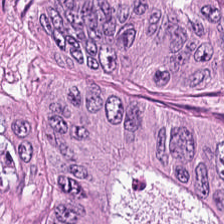Hematoxylin and eosin — Q: What is shown in this field?
A: It is colorectal adenocarcinoma.
